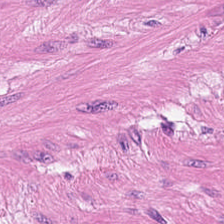0.5 microns per pixel · hematoxylin and eosin — Classification = smooth muscle.
